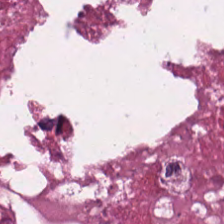FFPE tissue section · H&E stain. Tissue type — debris.
